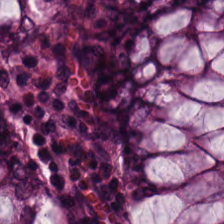224×224 pixel tile · hematoxylin-and-eosin stained section. Q: What tissue is shown?
A: The field shows normal colon mucosa.
